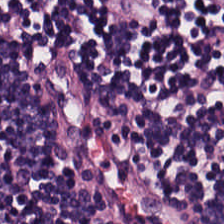Stain: hematoxylin and eosin.
Tissue: lymphocyte aggregate.
